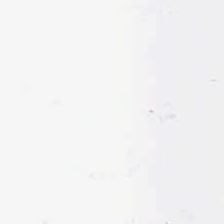Hematoxylin-and-eosin stained section; 0.5 µm per pixel.
Background — no tissue in this field.
